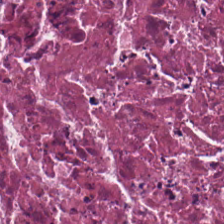Tissue — debris.
